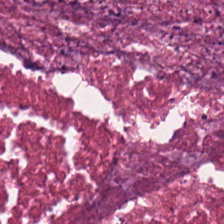H&E stain. Q: What tissue is shown?
A: The field shows debris.
